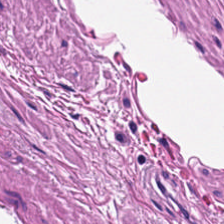Hematoxylin and eosin. WSI patch. FFPE tissue section.
Finding — smooth muscle.
